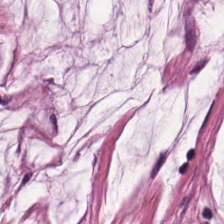Hematoxylin and eosin.
Histology — extracellular mucin.
